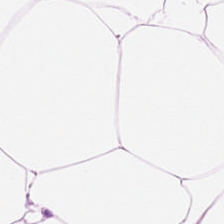Stain: H&E stain.
Tissue type: adipocytes.
